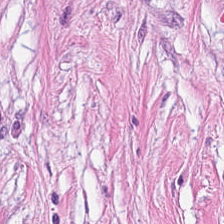Whole-slide-image patch; H&E stain; 224×224 px patch. {"tissue_type": "cancer-associated stroma"}
